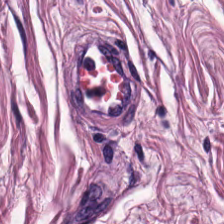Histology — smooth-muscle tissue.
